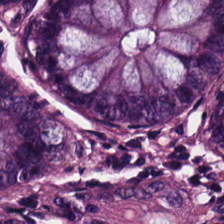Hematoxylin and eosin. FFPE.
Q: What is shown here?
A: It is non-neoplastic colon mucosa.
